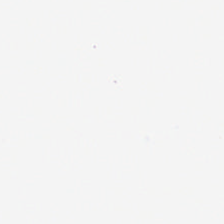Finding → no tissue.
